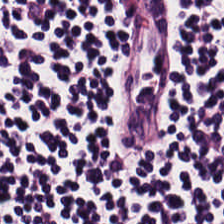FFPE · hematoxylin and eosin.
This field is lymphocytes.
